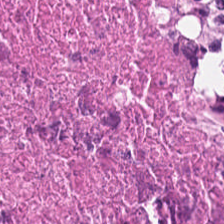H&E-stained tissue section · FFPE tissue section · WSI patch — This patch shows necrotic debris.
